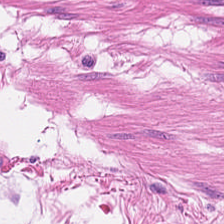H&E — This patch shows smooth muscle.
